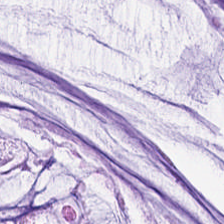Hematoxylin-and-eosin stained section. FFPE tissue section.
Classification — mucin.
